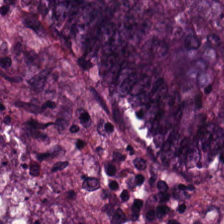Hematoxylin and eosin. Tissue: malignant epithelium.
